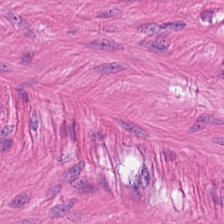FFPE · 0.5 µm per pixel · hematoxylin and eosin.
Classification = muscularis.
